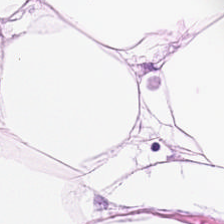H&E. WSI patch — The predominant tissue is adipose.
